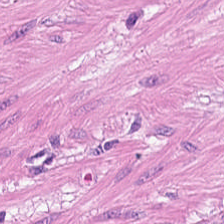Q: What type of tissue is this?
A: This is muscularis.
